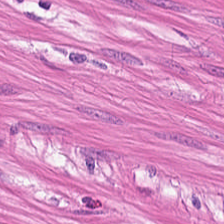Predominant tissue — muscularis.
